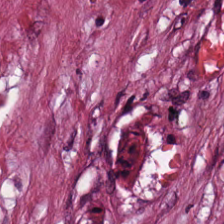224×224 px tile · H&E-stained tissue section. Classification — cancer-associated stroma.
